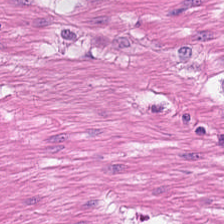224×224 pixel tile. H&E stain.
Q: What is the predominant tissue type?
A: This is muscularis.
